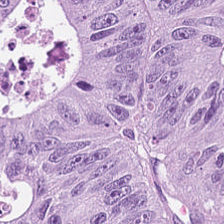FFPE tissue section. H&E. 0.5 µm/px. Tissue — colorectal adenocarcinoma.
